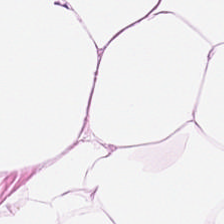Stain: H&E.
Resolution: 0.5 µm per pixel.
Tissue: adipocytes.
